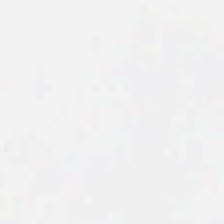Q: Classify this patch.
A: Empty background.
